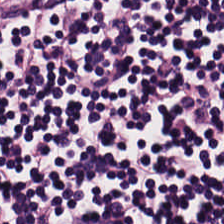H&E stain.
Tissue: lymphoid infiltrate.
